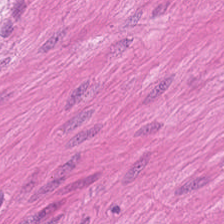Hematoxylin and eosin. WSI patch. Formalin-fixed paraffin-embedded section.
Predominantly muscularis.
